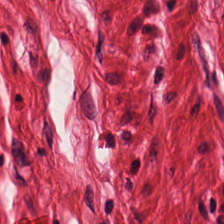Hematoxylin and eosin.
Tissue type — smooth-muscle tissue.
